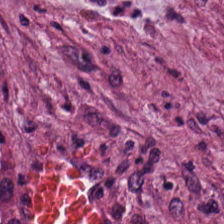H&E.
The classification is tumor stroma.
